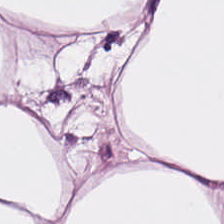H&E-stained tissue section — Tissue = adipose tissue.
